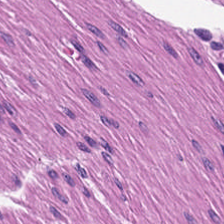H&E-stained tissue section; 0.5 microns per pixel; 224×224 pixel tile — The tissue type is smooth muscle.
